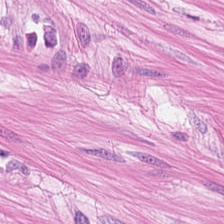H&E stain. {"tissue_type": "smooth muscle"}
